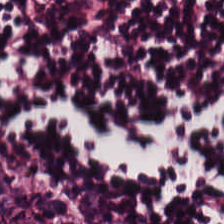Impression → lymphocytes.
